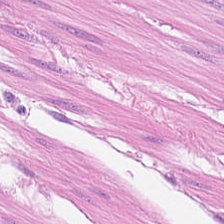Hematoxylin-and-eosin stained section · formalin-fixed paraffin-embedded section.
Tissue class — smooth muscle.
